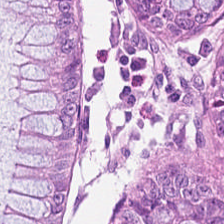H&E stain.
The predominant tissue is normal colon mucosa.
